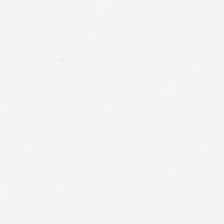H&E-stained tissue section. 20× equivalent magnification. Field content — background.
